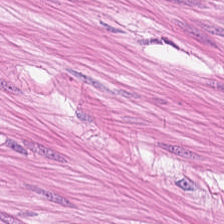Stain: H&E-stained tissue section.
Acquisition: WSI patch.
Predominant tissue: smooth muscle.
